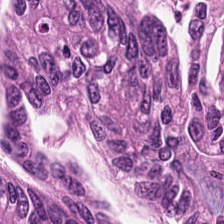H&E-stained tissue section — Q: Classify this patch.
A: It is adenocarcinoma.
